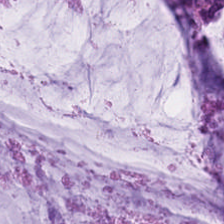224×224 px patch · brightfield · hematoxylin-and-eosin stained section. The classification is mucin.
